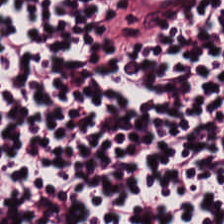H&E — The tissue here is lymphoid infiltrate.
